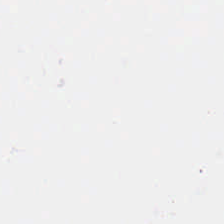H&E stain — Histology — background (no tissue).
